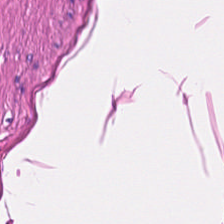FFPE. Hematoxylin-and-eosin stained section.
Q: Identify the tissue.
A: It is muscularis.
